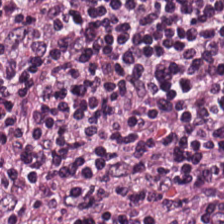FFPE tissue section. H&E stain. Showing lymphoid infiltrate.
